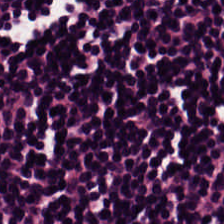Hematoxylin-and-eosin stained section — The predominant tissue is lymphocytic infiltrate.
